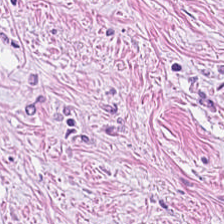Brightfield; 20× equivalent magnification; H&E-stained tissue section — Q: What tissue type is shown here?
A: The field shows tumor-associated stroma.
